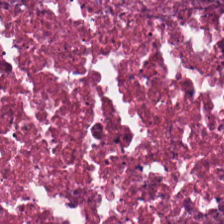H&E-stained tissue section — Classification — cellular debris.
